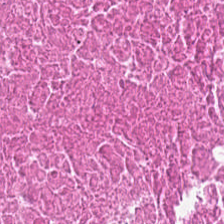H&E-stained tissue section. Cellular debris.
